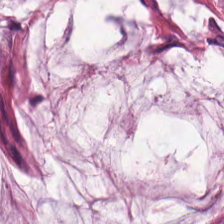{"tissue_type": "extracellular mucin"}
